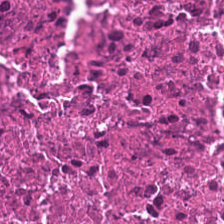FFPE tissue section. H&E.
Classification — debris.
